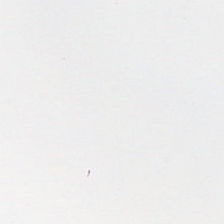H&E stain; WSI patch — {"content": "empty background"}
